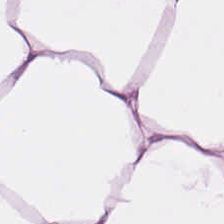H&E-stained section; the field shows adipose tissue.
